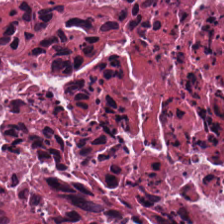FFPE. Hematoxylin and eosin — Debris.
